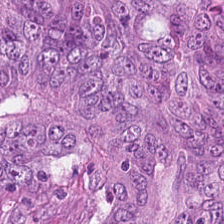Stain: H&E-stained tissue section.
Resolution: 0.5 µm per pixel.
Tile size: 224×224 pixel tile.
Classification: malignant epithelium.
